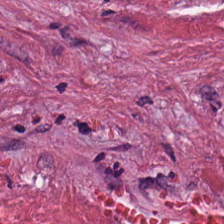H&E-stained tissue section.
Tissue type — cancer-associated stroma.
